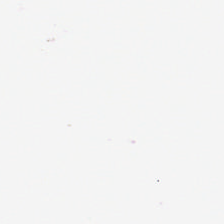Hematoxylin-and-eosin stained section. Classification — no tissue.
